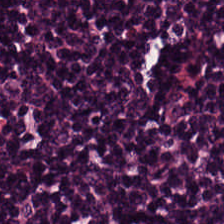Hematoxylin and eosin; 224×224 px patch; brightfield microscopy — Predominant tissue — lymphocytic infiltrate.
